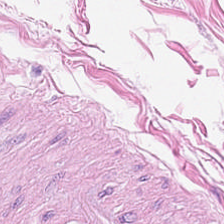H&E-stained tissue section · 224×224 px patch · brightfield microscopy. Showing adipose tissue.
